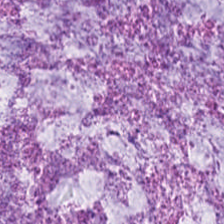H&E — extracellular mucin.
